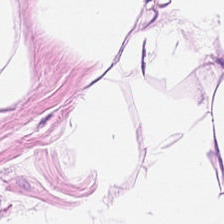H&E; 224×224 pixel tile; whole-slide-image patch. This patch shows fat tissue.
